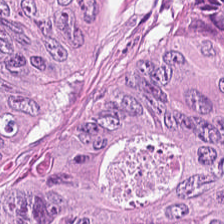Showing malignant epithelium.
